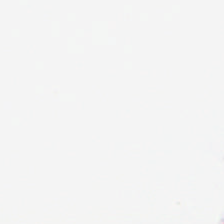224×224 px patch; 0.5 µm per pixel; hematoxylin-and-eosin stained section. Finding — empty background.
